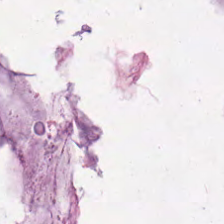H&E-stained tissue section. Q: What is shown in this field?
A: It is mucin.
